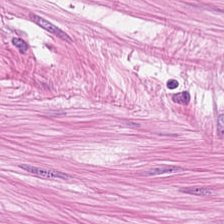H&E — The tissue here is smooth muscle.
